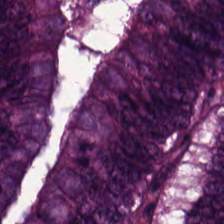H&E stain — The tissue class is colorectal adenocarcinoma.
